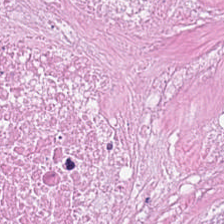Stain: H&E stain.
Tissue: debris.
